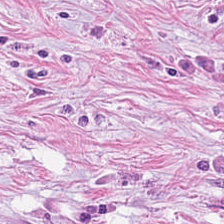Hematoxylin-and-eosin stained section · formalin-fixed paraffin-embedded section — {"tissue_type": "tumor stroma"}
